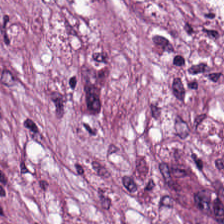FFPE tissue section · H&E — Tissue type: tumor-associated stroma.
